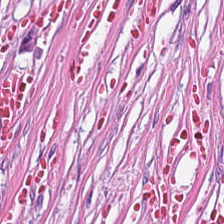Hematoxylin and eosin · WSI patch. Predominant tissue: tumor stroma.
